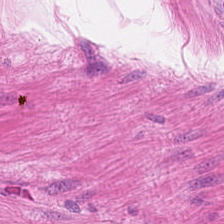Brightfield microscopy; hematoxylin and eosin — {"tissue_type": "smooth-muscle tissue"}
